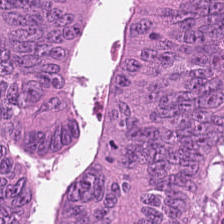H&E — Predominantly colorectal adenocarcinoma epithelium.
